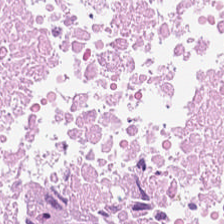Hematoxylin-and-eosin stained section. Q: Identify the tissue.
A: This is debris.
